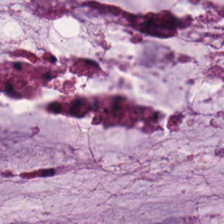H&E-stained tissue section.
Q: What tissue is shown?
A: It is mucus.
